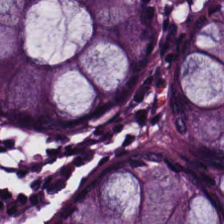H&E stain; 224×224 pixel tile — Showing benign colonic mucosa.
